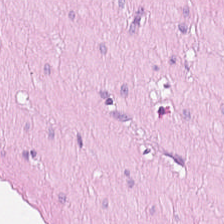Hematoxylin-and-eosin stained section · 224×224 px tile.
The tissue is muscularis.
